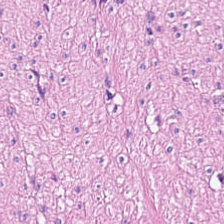The predominant tissue is muscularis.
